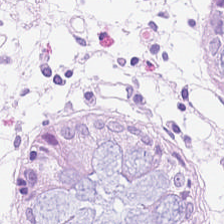Hematoxylin-and-eosin stained section.
Tissue = normal colon mucosa.
